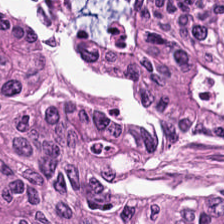Hematoxylin-and-eosin stained section; FFPE tissue section — Showing colorectal adenocarcinoma epithelium.
